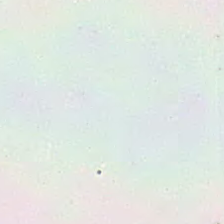Classification: background (no tissue).
